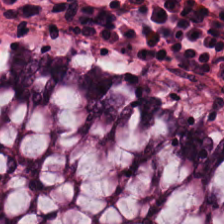FFPE tissue section · hematoxylin-and-eosin stained section — Q: Identify the tissue.
A: The field shows normal colon mucosa.
